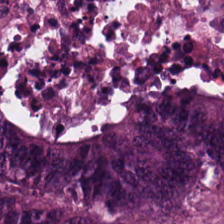H&E stain. The tissue is malignant epithelium.
